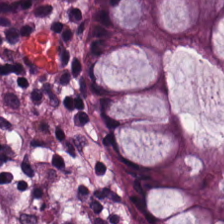H&E.
Tissue — benign colonic mucosa.
